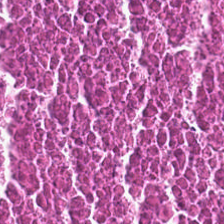H&E — Tissue class — necrotic debris.
